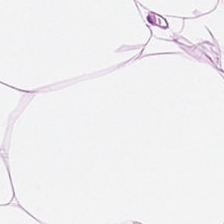This field is adipose.
